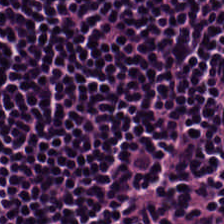Hematoxylin and eosin; WSI patch — This field is lymphocytes.
